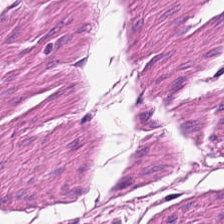FFPE. H&E stain. {"tissue_type": "muscularis"}
